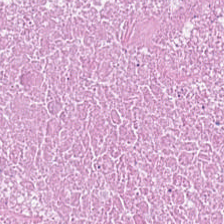Whole-slide-image patch. H&E. Q: What is the predominant tissue type?
A: It is cellular debris.
